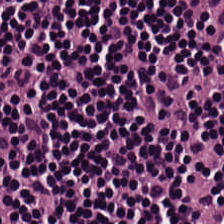H&E. WSI patch — Q: Classify this patch.
A: It is lymphoid infiltrate.
